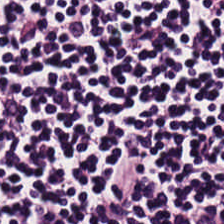Q: What type of tissue is this?
A: The field shows lymphocyte aggregate.
